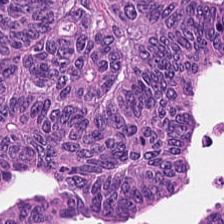Hematoxylin and eosin · FFPE tissue section — {"tissue_type": "colorectal adenocarcinoma epithelium"}
